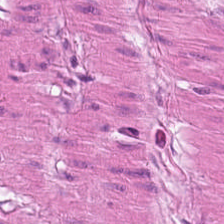H&E-stained tissue section · 0.5 µm per pixel · formalin-fixed paraffin-embedded section — The classification is muscularis.
